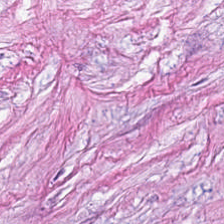This field is desmoplastic stroma.
